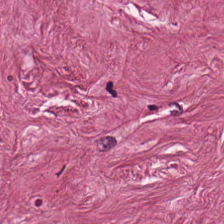Tissue type: desmoplastic stroma.
